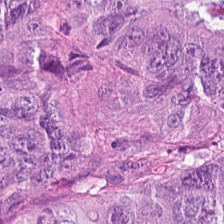Hematoxylin and eosin — Q: What does this patch show?
A: It is colorectal adenocarcinoma.
